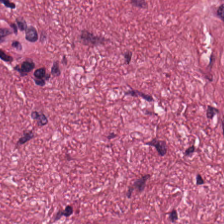224×224 pixel tile. H&E-stained tissue section. Impression — cancer-associated stroma.
